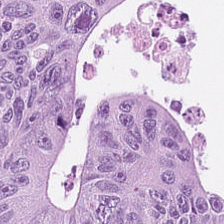Hematoxylin and eosin. 224×224 pixel tile. FFPE tissue section — Q: What type of tissue is this?
A: This is malignant epithelium.
